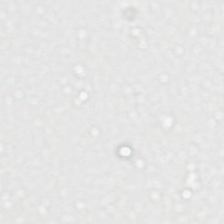Empty field — no tissue.
